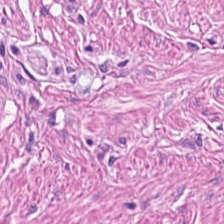Showing smooth-muscle tissue.
